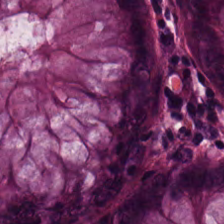H&E stain.
The tissue here is benign colonic mucosa.
